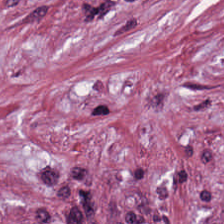H&E-stained tissue section; FFPE. Cancer-associated stroma.
